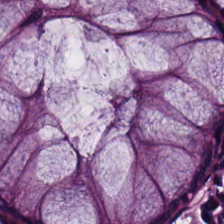FFPE; hematoxylin and eosin; 224×224 px tile.
Tissue class: benign colonic mucosa.
